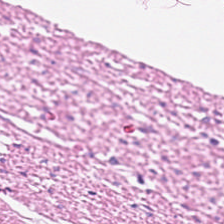Hematoxylin-and-eosin section: muscularis.
